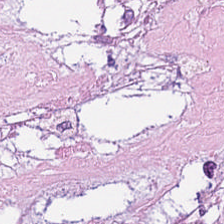H&E-stained tissue section. This patch shows cellular debris.
